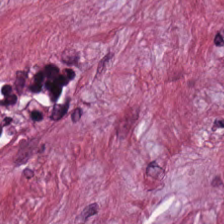{"tissue_type": "desmoplastic stroma"}
